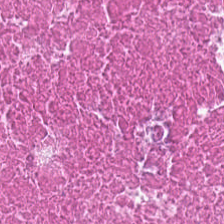H&E stain.
Q: Identify the tissue.
A: The field shows necrotic debris.
